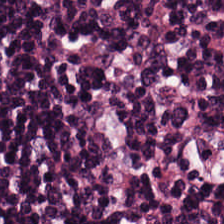H&E-stained tissue section.
Q: What is the predominant tissue type?
A: It is lymphoid infiltrate.
